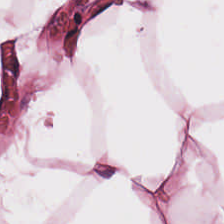H&E.
Showing adipocytes.
